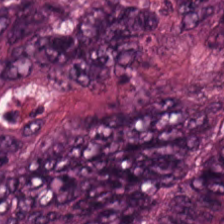FFPE; hematoxylin and eosin; 224×224 px patch. {"tissue_type": "extracellular mucin"}
